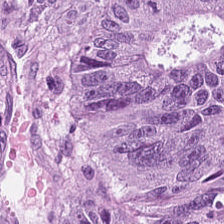H&E-stained tissue section · 0.5 microns per pixel · whole-slide-image patch.
Tissue type = colorectal adenocarcinoma.
